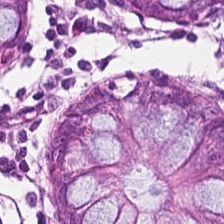H&E.
Predominantly normal colonic mucosa.
